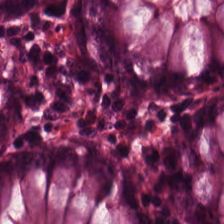Brightfield microscopy. H&E-stained tissue section. 0.5 µm/px. Tissue class — normal colonic mucosa.
